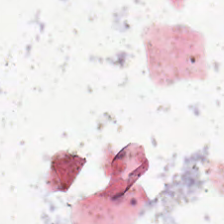Hematoxylin-and-eosin stained section — The content is empty background.
